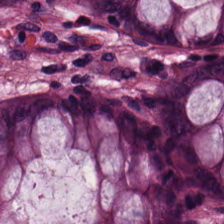H&E · brightfield — Finding → non-neoplastic colon mucosa.
